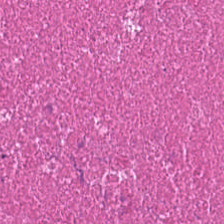H&E — The tissue here is necrotic debris.
